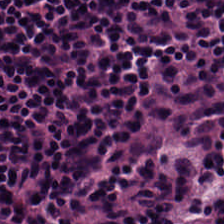Brightfield microscopy. 224×224 px patch. Hematoxylin and eosin — Showing lymphocytes.
